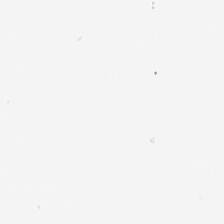Empty background.
